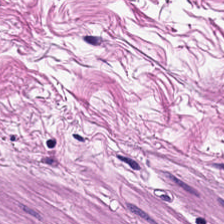Stain: H&E.
Tissue type: smooth muscle.
